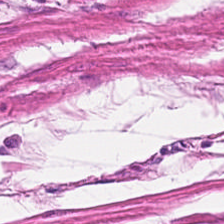{"tissue_type": "muscularis"}
